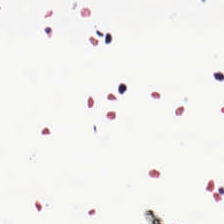Hematoxylin and eosin. Histology — background.
